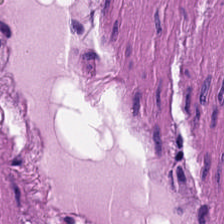Tissue type = smooth muscle.
